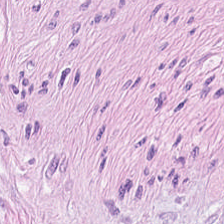H&E-stained tissue section · 0.5 microns per pixel.
Tissue class — tumor stroma.
